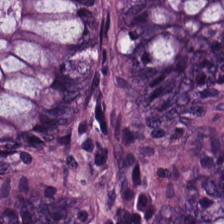H&E stain · formalin-fixed paraffin-embedded section — Predominantly non-neoplastic colon mucosa.
